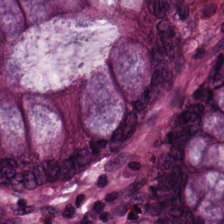Hematoxylin and eosin · 224×224 px patch — Q: What does this patch show?
A: It is benign colonic mucosa.
